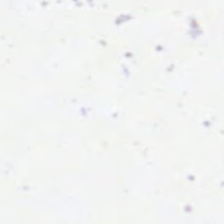Hematoxylin and eosin.
The classification is background (no tissue).
